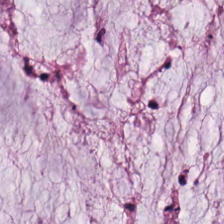H&E-stained tissue section — Predominantly mucin.
